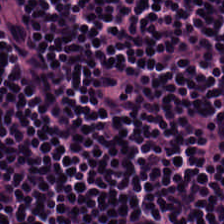0.5 microns per pixel; hematoxylin and eosin. This field is lymphocyte aggregate.
